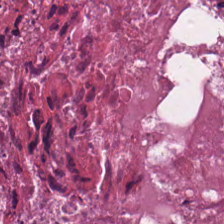H&E stain; whole-slide-image patch. {"tissue_type": "cellular debris"}
